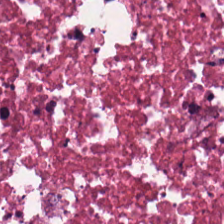This field is debris.
